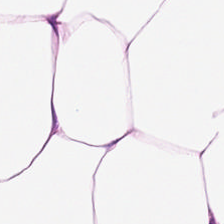224×224 px tile; H&E; FFPE tissue section — Q: What tissue type is shown here?
A: This is fat tissue.
